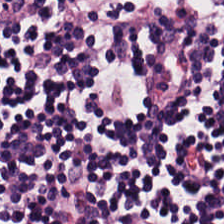Predominant tissue: lymphocyte aggregate.
